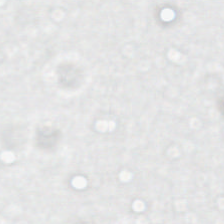H&E-stained tissue section — No tissue present; background only.
